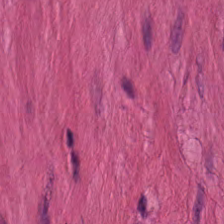Stain: H&E.
Classification: muscularis.
